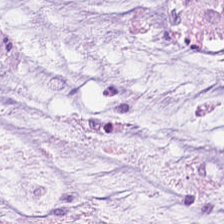H&E-stained tissue section — {"tissue_type": "extracellular mucin"}
